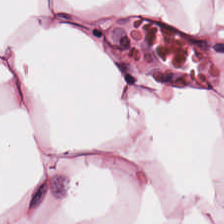Hematoxylin-and-eosin stained section — Tissue class — adipocytes.
